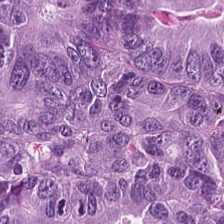Tissue class = tumor epithelium.
